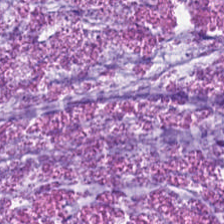WSI patch; H&E-stained tissue section; FFPE.
The predominant tissue is mucin.
